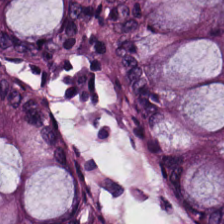Hematoxylin and eosin.
Normal colon mucosa.
